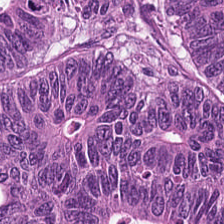Hematoxylin and eosin — Tissue class — tumor epithelium.
